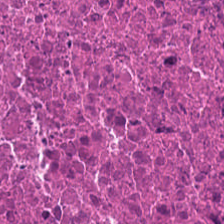Hematoxylin and eosin. Whole-slide-image patch. This patch shows debris.
